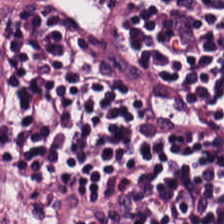Brightfield microscopy; H&E stain; FFPE.
Q: What type of tissue is this?
A: The field shows lymphocytes.
